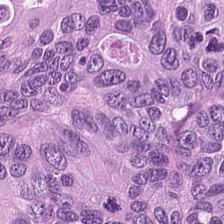H&E-stained tissue section. Classification = tumor epithelium.
